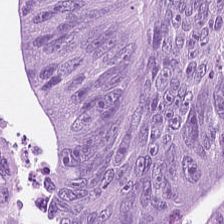Q: What does this patch show?
A: It is malignant epithelium.
